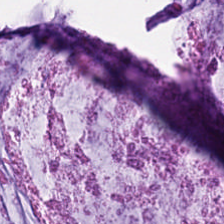Hematoxylin-and-eosin stained section · formalin-fixed paraffin-embedded section. Q: What is shown here?
A: This is extracellular mucin.
